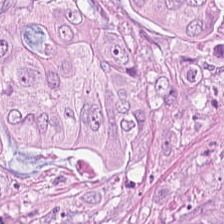H&E-stained tissue section. Impression — colorectal adenocarcinoma.
